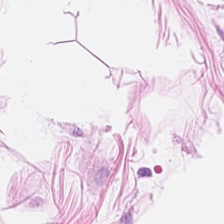H&E-stained tissue section · FFPE tissue section.
The tissue class is adipose tissue.
